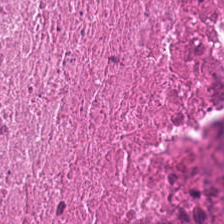FFPE tissue section; 20× equivalent magnification; H&E stain. This patch shows necrotic debris.
